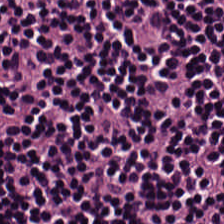Hematoxylin and eosin.
This patch shows lymphocyte aggregate.
